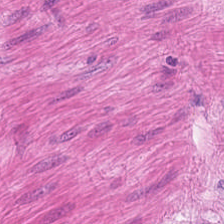{"tissue_type": "muscularis"}
